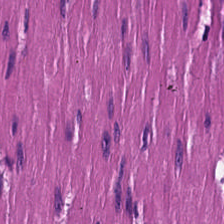224×224 px patch; 0.5 µm per pixel; hematoxylin and eosin — {"tissue_type": "muscularis"}
